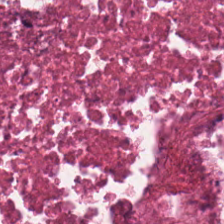224×224 pixel tile. H&E-stained tissue section. Histology — debris.
